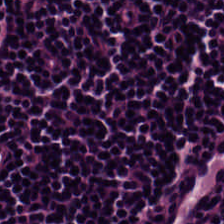Hematoxylin and eosin · FFPE. The classification is lymphocytic infiltrate.
